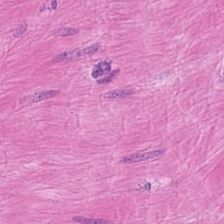H&E stain.
Q: What is shown in this field?
A: The field shows smooth muscle.
